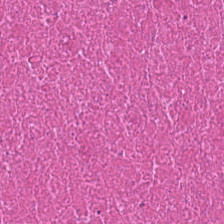Whole-slide-image patch; H&E-stained tissue section; 224×224 px tile — Predominant tissue = cellular debris.
